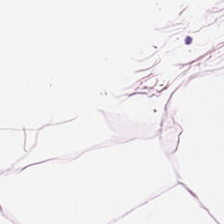H&E-stained tissue section.
Impression — adipose.
